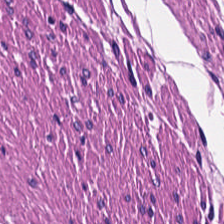Hematoxylin-and-eosin stained section.
{"tissue_type": "smooth-muscle tissue"}
